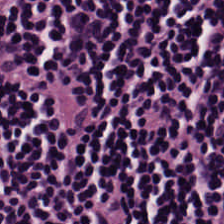Stain: H&E stain.
Acquisition: whole-slide-image patch.
Classification: lymphocytes.
